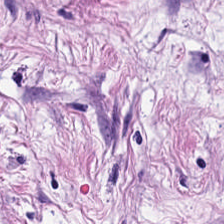H&E. FFPE tissue section. WSI patch — This patch shows tumor stroma.
